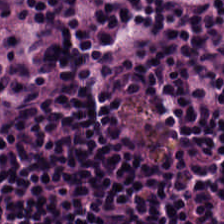Stain: H&E-stained tissue section.
Predominant tissue: lymphocytic infiltrate.
